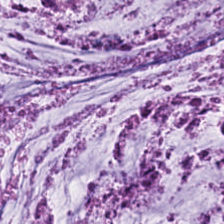H&E-stained tissue section — {"tissue_type": "mucus"}
